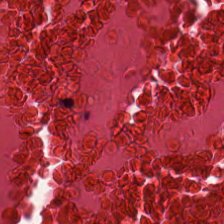The predominant tissue is debris.
